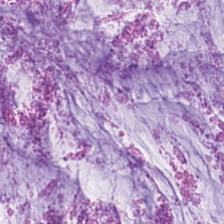Hematoxylin and eosin. The tissue here is mucus.
